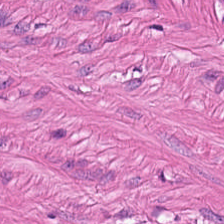Hematoxylin-and-eosin stained section · 0.5 microns per pixel. Finding → smooth-muscle tissue.
